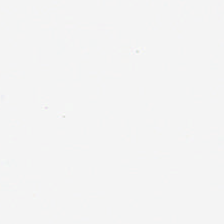Hematoxylin and eosin; WSI patch.
The field content is no tissue.
